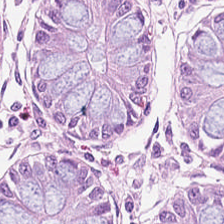{"tissue_type": "normal colon mucosa"}
